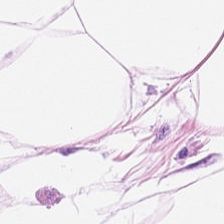H&E.
The classification is adipocytes.
